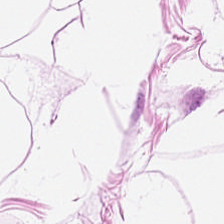Hematoxylin and eosin.
Classification = adipose tissue.
